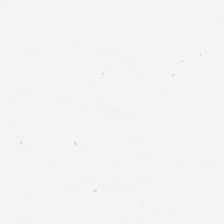Brightfield microscopy. H&E. FFPE tissue section.
Impression — background (no tissue).
